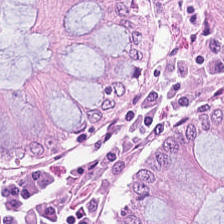Stain: H&E stain.
Predominant tissue: normal colonic mucosa.
